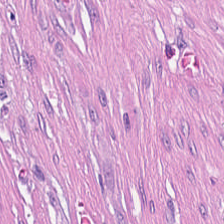Hematoxylin-and-eosin stained section. The tissue class is tumor stroma.
